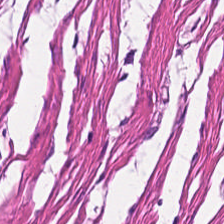Hematoxylin and eosin.
Tissue class = smooth-muscle tissue.
